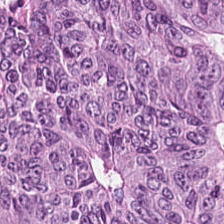Hematoxylin-and-eosin stained section. 0.5 µm/px.
Tissue — colorectal adenocarcinoma.
